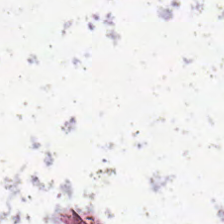224×224 px patch. H&E stain — Empty field — background (no tissue).
